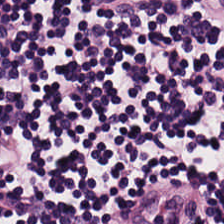Q: What type of tissue is this?
A: It is lymphocytic infiltrate.
